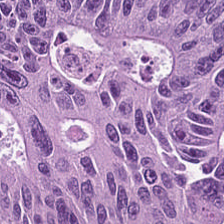WSI patch; FFPE; H&E.
Predominant tissue = colorectal adenocarcinoma epithelium.
